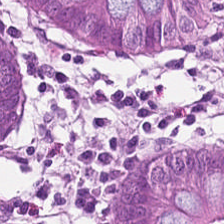H&E-stained tissue section — Predominantly normal colon mucosa.
